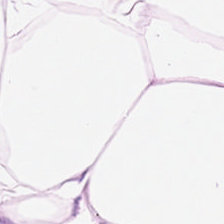FFPE · H&E — Adipose tissue.
